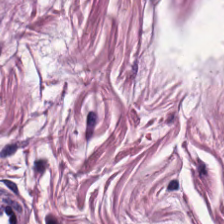H&E — smooth muscle.
